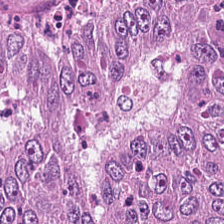Hematoxylin and eosin. WSI patch.
The predominant tissue is colorectal adenocarcinoma epithelium.
